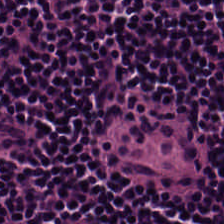Hematoxylin and eosin — Tissue: lymphocytes.
